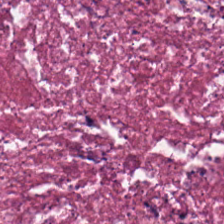H&E-stained tissue section · 0.5 µm per pixel · FFPE.
The tissue is debris.
